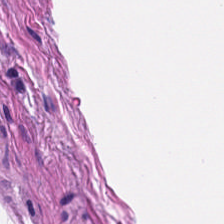Hematoxylin-and-eosin stained section. The tissue here is smooth muscle.
